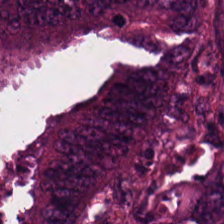H&E-stained tissue section. This field is colorectal adenocarcinoma.
